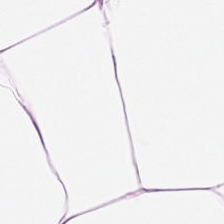FFPE tissue section. 0.5 µm per pixel. H&E. This patch shows fat tissue.
